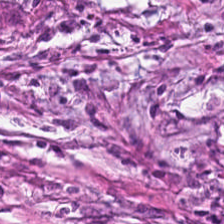224×224 pixel tile. H&E. FFPE tissue section — This field is tumor stroma.
